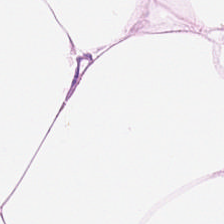Hematoxylin-and-eosin stained section; 224×224 px patch.
Q: What is the predominant tissue type?
A: Fat tissue.
